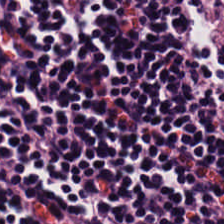WSI patch; H&E stain — {"tissue_type": "lymphoid infiltrate"}
